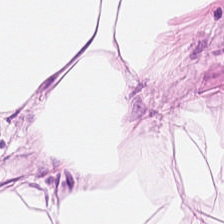0.5 µm per pixel · H&E.
Impression — adipose tissue.
